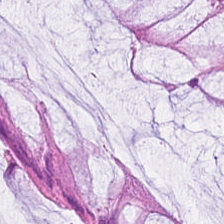Hematoxylin and eosin. 0.5 µm per pixel. 224×224 px tile. Showing benign colonic mucosa.
